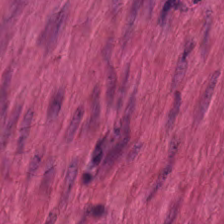224×224 pixel tile; hematoxylin and eosin — The tissue here is smooth muscle.
